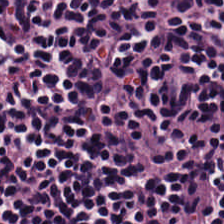H&E stain. Lymphocytes.
